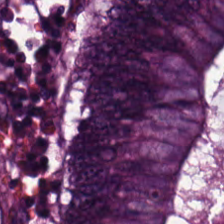224×224 px patch; H&E stain; 0.5 µm/px — Finding — tumor epithelium.
